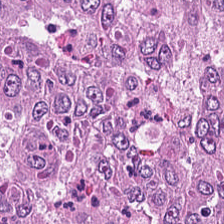Tissue = adenocarcinoma.
